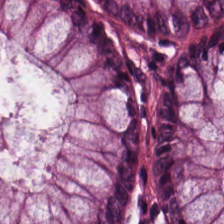H&E stain.
Q: What type of tissue is this?
A: Normal colon mucosa.
